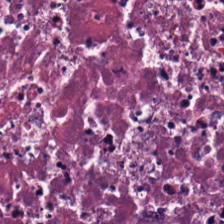Stain: H&E.
Preparation: formalin-fixed paraffin-embedded section.
Resolution: 0.5 µm per pixel.
Tissue: cellular debris.
